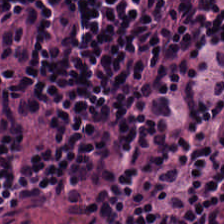Hematoxylin and eosin.
Q: What tissue type is shown here?
A: It is lymphocytes.
